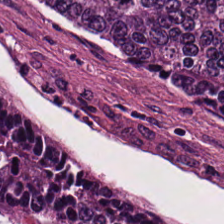Hematoxylin-and-eosin stained section. Predominant tissue — colorectal adenocarcinoma.
